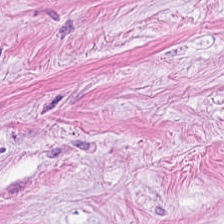H&E stain — Predominantly desmoplastic stroma.
